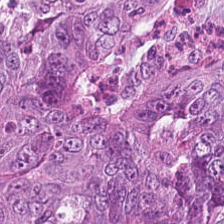20× equivalent magnification; brightfield; H&E. This field is colorectal adenocarcinoma.
